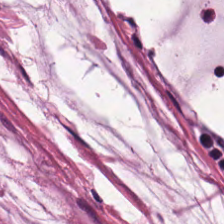{"tissue_type": "mucus"}
